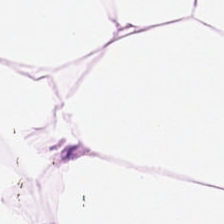Predominantly adipose tissue.
